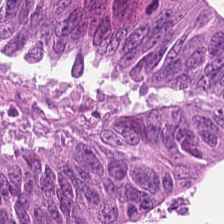FFPE tissue section; 20× equivalent magnification; H&E.
Impression → malignant epithelium.
